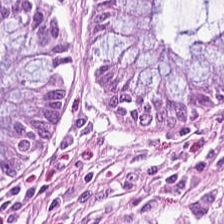Histology — normal colonic mucosa.
